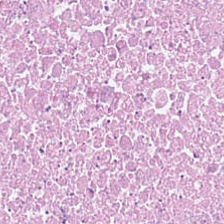Finding → debris.
